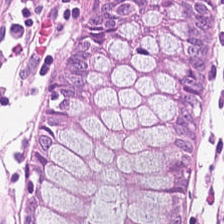Tissue class — benign colonic mucosa.
